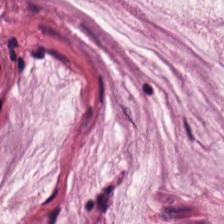Hematoxylin-and-eosin stained section. 224×224 px tile. This patch shows mucus.
